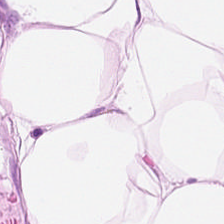This patch shows adipose tissue.
